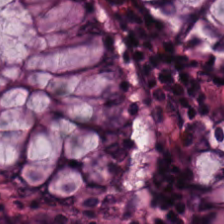Stain: H&E-stained tissue section.
Resolution: 0.5 µm per pixel.
Classification: benign colonic mucosa.
